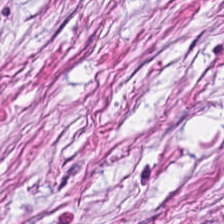Hematoxylin and eosin — Classification — tumor stroma.
